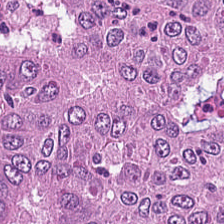H&E stain — Showing tumor epithelium.
